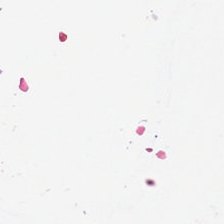Stain: H&E.
Classification: empty background.
